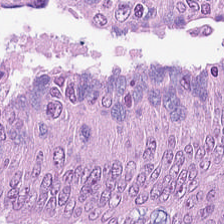Tissue class: malignant epithelium.
